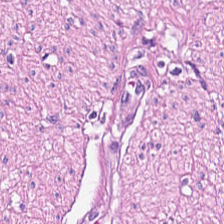H&E-stained tissue section; FFPE; 0.5 µm/px — This patch shows muscularis.
